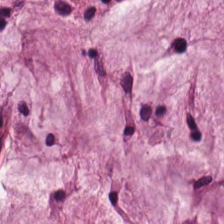Classification — extracellular mucin.
